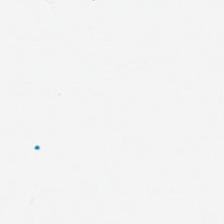Formalin-fixed paraffin-embedded section; hematoxylin-and-eosin stained section.
Q: What is shown here?
A: This is background.
